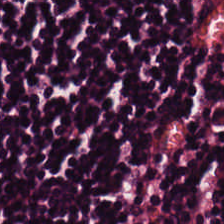20× equivalent magnification. H&E — Predominantly lymphocytic infiltrate.
